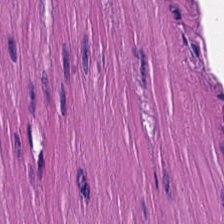20× equivalent magnification. Brightfield microscopy. H&E-stained tissue section.
Tissue type: smooth-muscle tissue.
